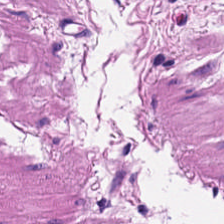H&E-stained tissue section — Q: Classify this patch.
A: This is smooth-muscle tissue.
